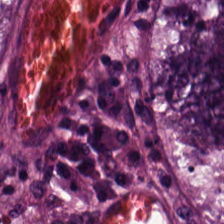Q: Identify the tissue.
A: The field shows colorectal adenocarcinoma epithelium.
